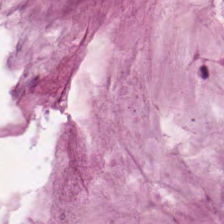Hematoxylin-and-eosin stained section · WSI patch.
The predominant tissue is mucin.
